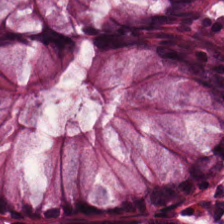The tissue here is non-neoplastic colon mucosa.
